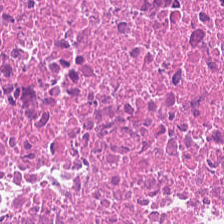H&E-stained tissue section — The tissue type is debris.
